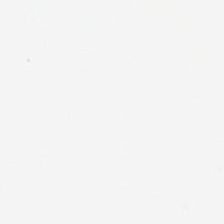Background — no tissue in this field.
